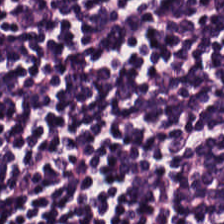Hematoxylin-and-eosin stained section — The tissue here is lymphocyte aggregate.
